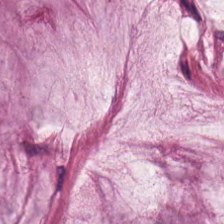WSI patch. H&E stain. Tissue type — extracellular mucin.
